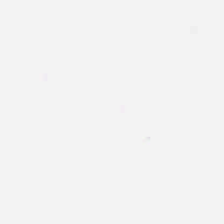H&E-stained tissue section.
Histology — background (no tissue).
